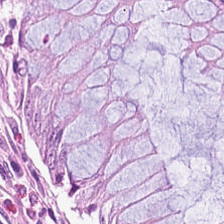Stain: H&E stain.
Acquisition: brightfield.
Tile size: 224×224 pixel tile.
Tissue class: benign colonic mucosa.
